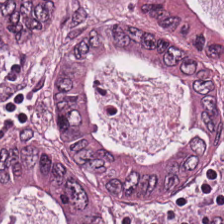H&E stain · FFPE. The tissue type is colorectal adenocarcinoma epithelium.
